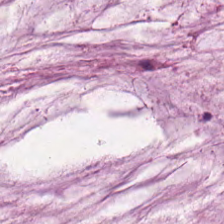Hematoxylin and eosin. Q: What tissue type is shown here?
A: Mucus.
